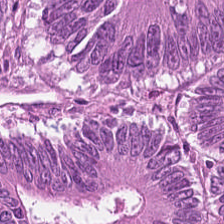H&E — The tissue is adenocarcinoma.
